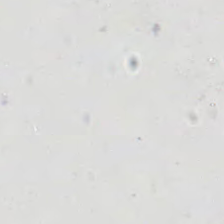Stain: H&E-stained tissue section.
Classification: background (no tissue).
